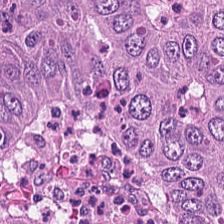Stain: hematoxylin-and-eosin stained section.
Tissue type: colorectal adenocarcinoma.
